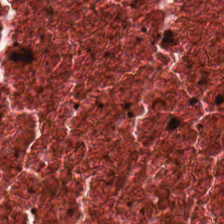{"tissue_type": "debris"}
